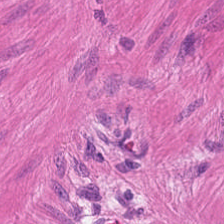Classification — muscularis.
